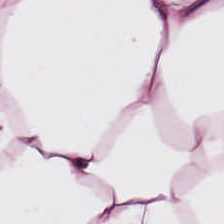FFPE tissue section. Hematoxylin-and-eosin stained section. Tissue class: adipose tissue.
